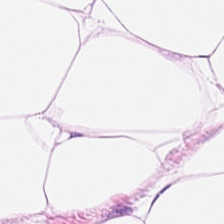Hematoxylin-and-eosin stained section. FFPE tissue section. 20× equivalent magnification.
The predominant tissue is adipose.
